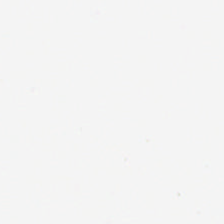H&E. Q: What is shown in this field?
A: The field shows empty background.
